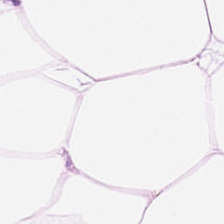H&E. Adipose.
